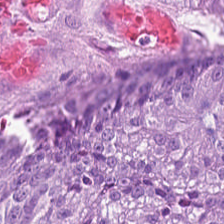{"tissue_type": "colorectal adenocarcinoma"}
